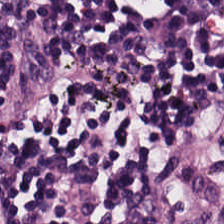Tissue class: lymphocytic infiltrate.
